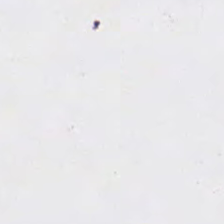Stain: H&E.
Content: no tissue.
